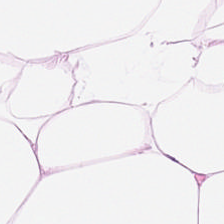Brightfield · H&E stain. Adipose tissue.
